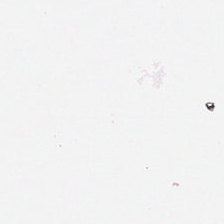No tissue present; background only.
